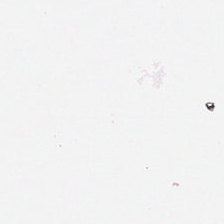No tissue present; background only.
